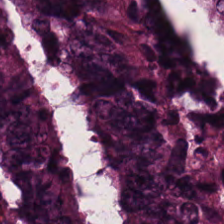The classification is colorectal adenocarcinoma epithelium.
